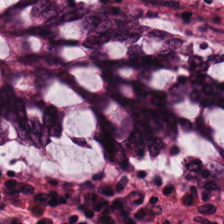0.5 microns per pixel. Hematoxylin-and-eosin stained section.
Tissue type — benign colonic mucosa.
